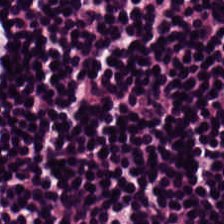H&E-stained tissue section. Tissue type: lymphoid infiltrate.
